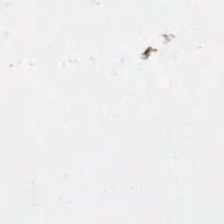Hematoxylin and eosin. FFPE tissue section. Empty field — background.
